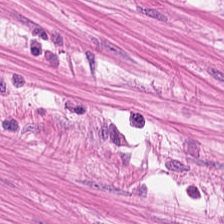H&E-stained tissue section; FFPE — Tissue type: smooth-muscle tissue.
